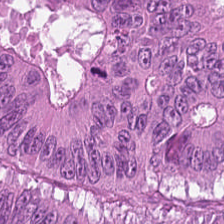Stain: H&E-stained tissue section.
Tile size: 224×224 pixel tile.
Classification: malignant epithelium.
